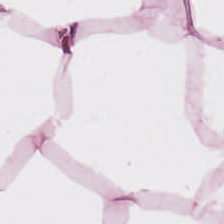Hematoxylin-and-eosin stained section. Classification — fat tissue.
